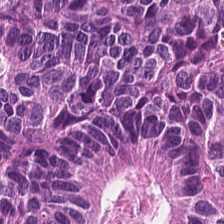The tissue here is adenocarcinoma.
